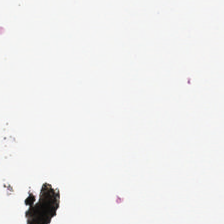Hematoxylin and eosin — {"content": "no tissue"}
